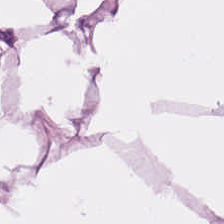Formalin-fixed paraffin-embedded section. H&E stain. 224×224 px patch. Showing fat tissue.
